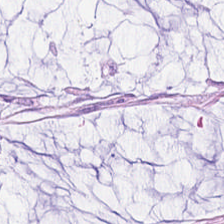Hematoxylin and eosin. 224×224 pixel tile. Formalin-fixed paraffin-embedded section.
The tissue here is mucus.
